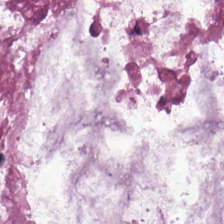Hematoxylin and eosin. FFPE tissue section.
Tissue class — mucin.
